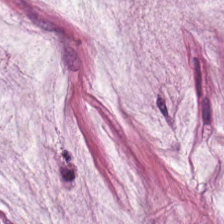Hematoxylin and eosin.
This patch shows mucus.
